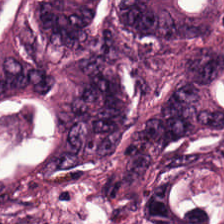0.5 µm per pixel · H&E-stained tissue section — Histology — tumor epithelium.
